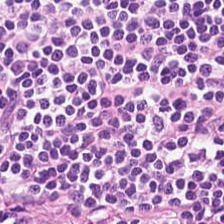0.5 microns per pixel · hematoxylin-and-eosin stained section. {"tissue_type": "lymphocytic infiltrate"}
